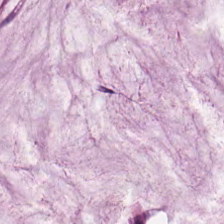Hematoxylin and eosin · 0.5 microns per pixel.
Showing extracellular mucin.
